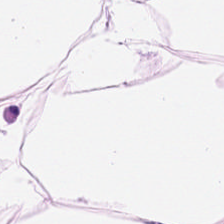Hematoxylin-and-eosin stained section · brightfield microscopy. Fat tissue.
